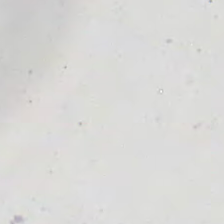H&E.
This patch shows no tissue.
